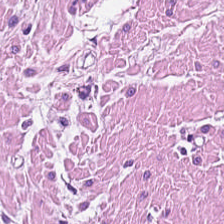Q: What tissue type is shown here?
A: The field shows smooth muscle.
